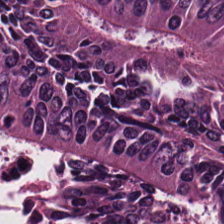Stain: H&E stain.
Tile size: 224×224 pixel tile.
Acquisition: brightfield microscopy.
Predominant tissue: adenocarcinoma.
